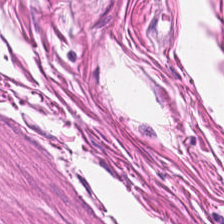FFPE · WSI patch · hematoxylin-and-eosin stained section. Q: What tissue is shown?
A: The field shows smooth muscle.
